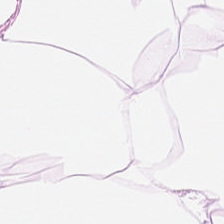Stain: H&E stain.
Preparation: FFPE tissue section.
Tile size: 224×224 px patch.
Tissue: adipose tissue.
